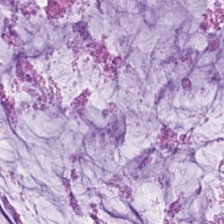The predominant tissue is mucus.
